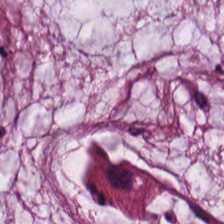Whole-slide-image patch. 0.5 µm per pixel. H&E-stained tissue section. Showing mucin.
